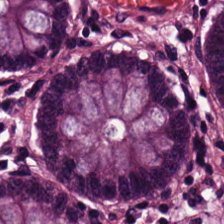Hematoxylin-and-eosin stained section; whole-slide-image patch; FFPE.
Predominantly normal colon mucosa.
